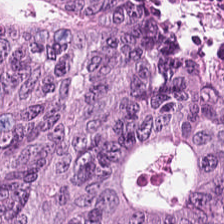Hematoxylin-and-eosin stained section. Brightfield. FFPE.
Tissue type: tumor epithelium.
